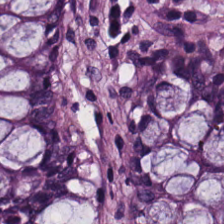224×224 px patch; hematoxylin and eosin.
Q: What type of tissue is this?
A: It is non-neoplastic colon mucosa.
